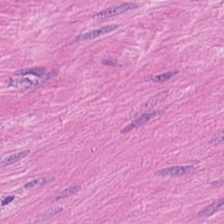Smooth-muscle tissue.
